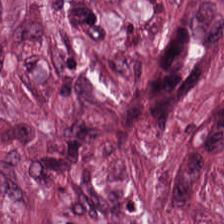Hematoxylin and eosin — The predominant tissue is tumor-associated stroma.
